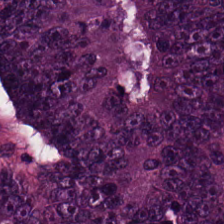224×224 px tile; hematoxylin-and-eosin stained section — Tumor epithelium.
